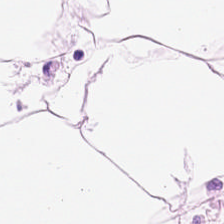FFPE tissue section. Hematoxylin and eosin. 0.5 microns per pixel — Q: What does this patch show?
A: The field shows adipose tissue.
